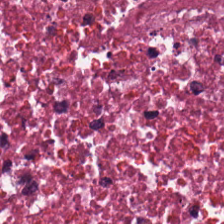Whole-slide-image patch. 0.5 µm/px. H&E stain — Cellular debris.
